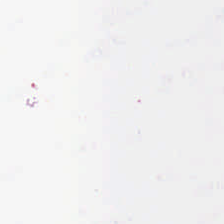Hematoxylin and eosin — This field is background (no tissue).
